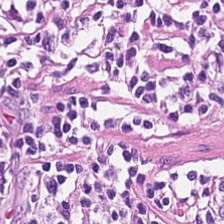Hematoxylin and eosin. Tissue type = lymphoid infiltrate.
